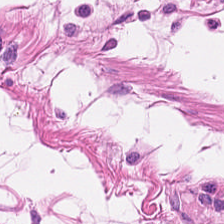H&E-stained section; the field shows smooth muscle.
